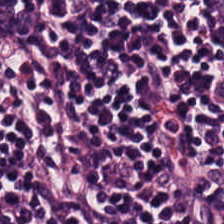H&E stain.
Tissue class — lymphoid infiltrate.
